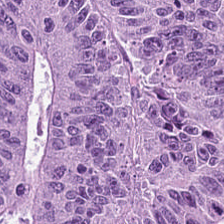Histology → colorectal adenocarcinoma.
